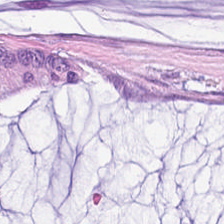H&E-stained tissue section; FFPE tissue section.
Extracellular mucin.
